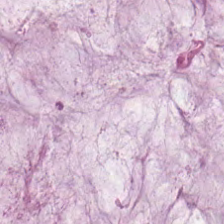WSI patch; 20× equivalent magnification; H&E stain — Finding — mucus.
